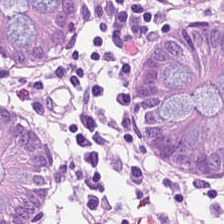Showing non-neoplastic colon mucosa.
